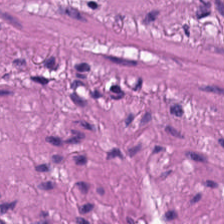Predominant tissue = muscularis.
